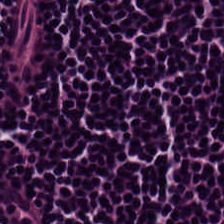H&E-stained tissue section. FFPE. 224×224 px tile.
The tissue here is lymphocytic infiltrate.
